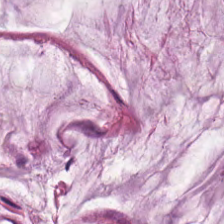FFPE tissue section; hematoxylin-and-eosin stained section; 224×224 px patch.
This field is mucus.
